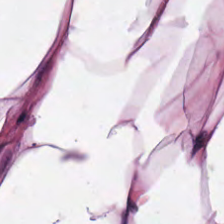FFPE tissue section · H&E-stained tissue section · WSI patch. The predominant tissue is adipose.
